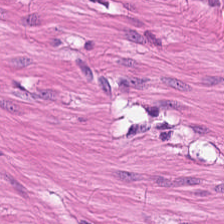Hematoxylin and eosin · brightfield microscopy.
Smooth-muscle tissue.
